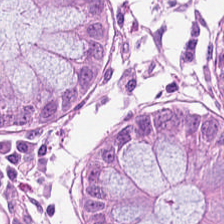Stain: hematoxylin-and-eosin stained section.
Tissue type: normal colonic mucosa.
